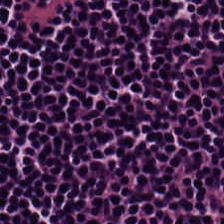Hematoxylin-and-eosin stained section — Predominantly lymphocyte aggregate.
